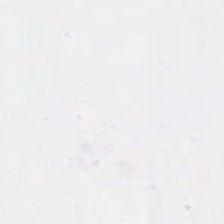FFPE tissue section; H&E stain; 20× equivalent magnification. Content = background (no tissue).
